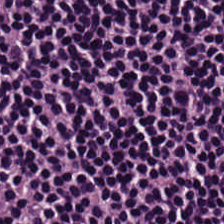Hematoxylin and eosin — This patch shows lymphocytes.
